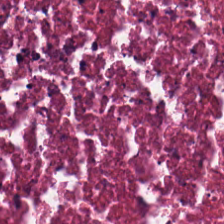Brightfield microscopy. H&E stain. 224×224 px patch — Predominant tissue — debris.
